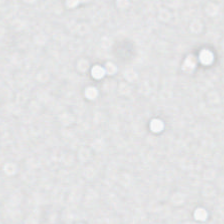Stain: H&E.
Field content: no tissue.
